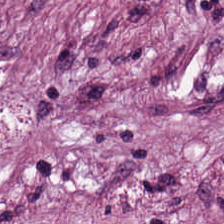Brightfield microscopy. H&E stain. Predominantly tumor-associated stroma.
